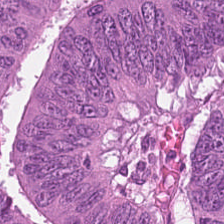H&E-stained tissue section — Q: What type of tissue is this?
A: This is colorectal adenocarcinoma.
